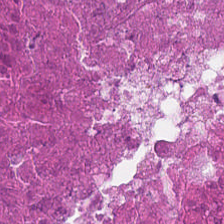Predominant tissue: necrotic debris.
